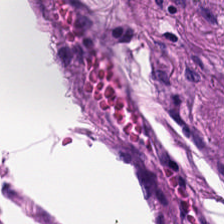H&E-stained tissue section.
Q: What type of tissue is this?
A: This is smooth-muscle tissue.
